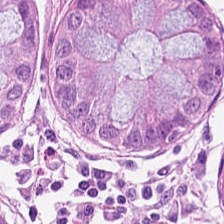H&E. The tissue here is normal colonic mucosa.
